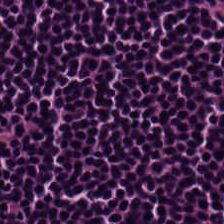Lymphoid infiltrate.
